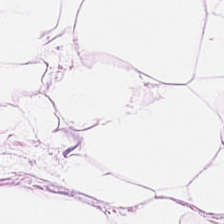Formalin-fixed paraffin-embedded section; H&E — Q: What tissue is shown?
A: Adipose.
